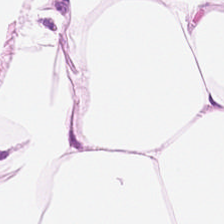224×224 px tile · H&E — The tissue type is adipocytes.
